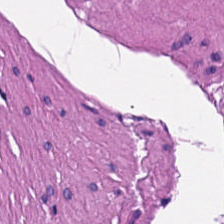Whole-slide-image patch. H&E stain — Q: What is the predominant tissue type?
A: It is muscularis.
